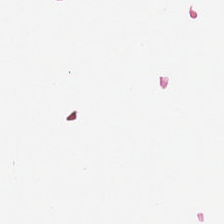Brightfield; H&E-stained tissue section. This patch shows background.
